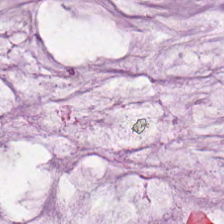H&E — Tissue class — mucin.
